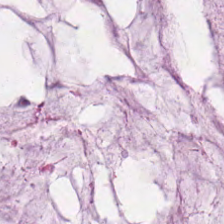0.5 microns per pixel; hematoxylin and eosin. Showing mucus.
